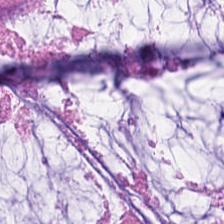H&E. Brightfield microscopy. Q: What does this patch show?
A: Mucin.
